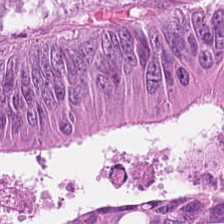Formalin-fixed paraffin-embedded section. H&E-stained tissue section. Brightfield. Showing malignant epithelium.
